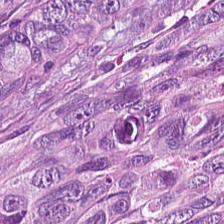Hematoxylin-and-eosin stained section · brightfield.
The predominant tissue is adenocarcinoma.
